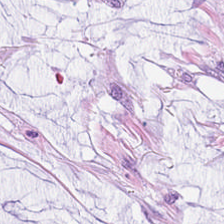Stain: hematoxylin-and-eosin stained section.
Classification: mucus.
